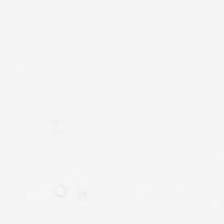H&E. Brightfield microscopy. This field is background (no tissue).
